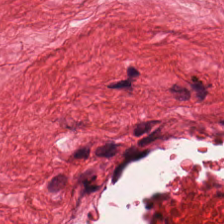Impression — muscularis.
